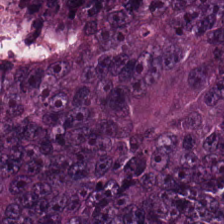H&E stain. Histology → colorectal adenocarcinoma.
